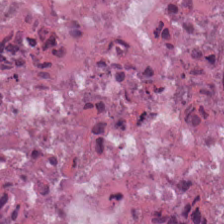Hematoxylin and eosin — Finding — necrotic debris.
